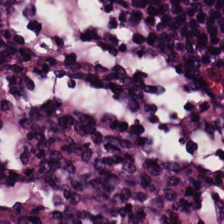224×224 px patch. Whole-slide-image patch. H&E. Impression — lymphocytes.
